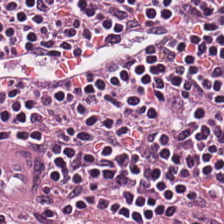H&E-stained tissue section; brightfield; 20× equivalent magnification.
Q: What is the predominant tissue type?
A: Lymphocytic infiltrate.
